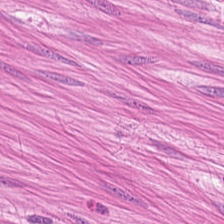Predominantly smooth-muscle tissue.
